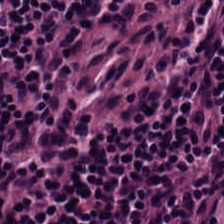H&E-stained tissue section · 20× equivalent magnification.
Q: What tissue type is shown here?
A: The field shows lymphocytic infiltrate.
